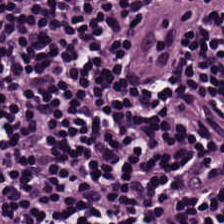Hematoxylin-and-eosin stained section. The predominant tissue is lymphocytes.
